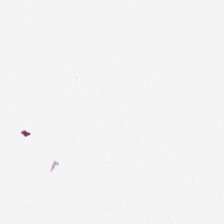Hematoxylin and eosin.
The field content is empty background.
